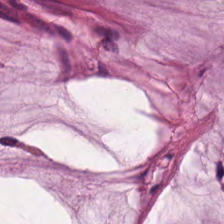224×224 px patch · formalin-fixed paraffin-embedded section · hematoxylin and eosin — Predominant tissue — mucus.
